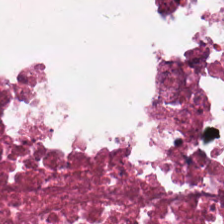Hematoxylin and eosin; 0.5 µm per pixel — This patch shows cellular debris.
